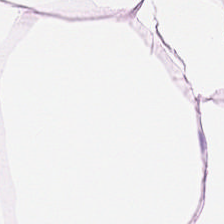Formalin-fixed paraffin-embedded section · H&E. Q: What is shown here?
A: This is adipose.
